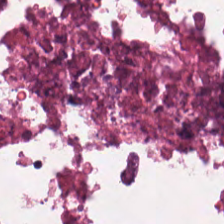Stain: hematoxylin and eosin.
Resolution: 0.5 µm/px.
Preparation: FFPE tissue section.
Classification: debris.
